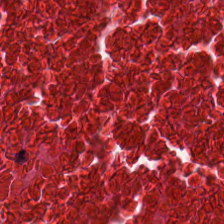H&E stain. FFPE tissue section. The tissue here is cellular debris.
